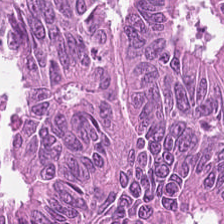This field is adenocarcinoma.
